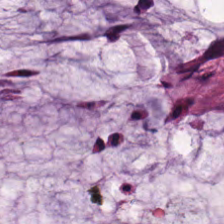H&E. Formalin-fixed paraffin-embedded section.
The tissue here is mucus.
